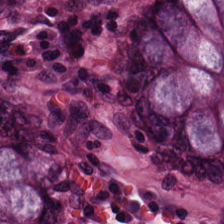Stain: H&E-stained tissue section.
Tissue: normal colon mucosa.
